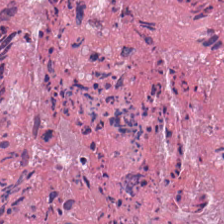Hematoxylin-and-eosin stained section; brightfield microscopy — Tissue class — debris.
